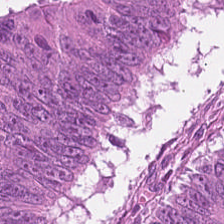The predominant tissue is colorectal adenocarcinoma.
